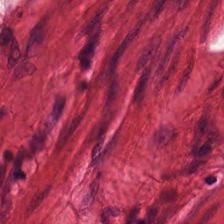Stain: H&E.
Tissue: smooth muscle.
